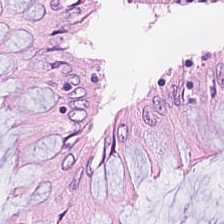Hematoxylin-and-eosin stained section.
Tissue — normal colonic mucosa.
